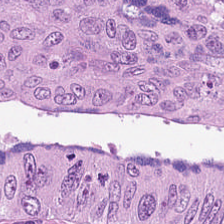Brightfield · H&E — This field is colorectal adenocarcinoma.
